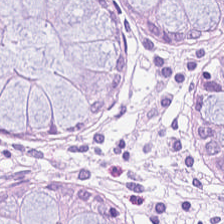0.5 µm per pixel. FFPE. Hematoxylin and eosin — Showing benign colonic mucosa.
